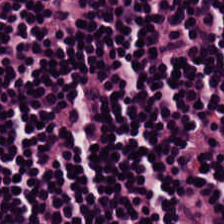Hematoxylin and eosin. 0.5 microns per pixel. Tissue type = lymphocyte aggregate.
